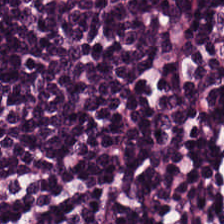Whole-slide-image patch; 224×224 px tile; H&E-stained tissue section — Tissue type: lymphocytes.
